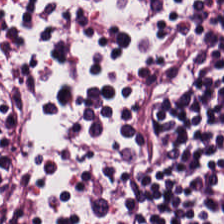H&E · FFPE.
Tissue class — lymphocytes.
